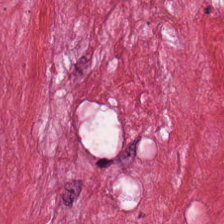H&E stain. 20× equivalent magnification. Formalin-fixed paraffin-embedded section — This patch shows tumor stroma.
